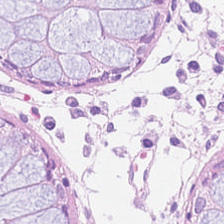Whole-slide-image patch; FFPE; H&E-stained tissue section.
{"tissue_type": "benign colonic mucosa"}
